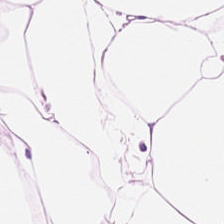Stain: H&E.
Acquisition: brightfield microscopy.
Tissue type: adipose.
